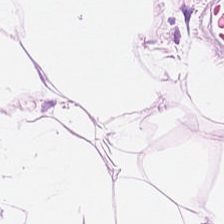H&E stain; 20× equivalent magnification. The tissue type is adipose.
